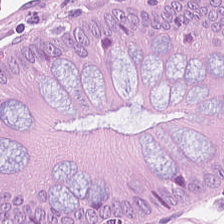Q: What does this patch show?
A: This is normal colonic mucosa.
